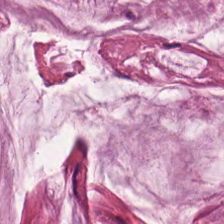Formalin-fixed paraffin-embedded section. H&E stain. Mucin.
